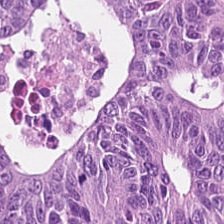Hematoxylin-and-eosin stained section; 224×224 px tile. The predominant tissue is colorectal adenocarcinoma.
